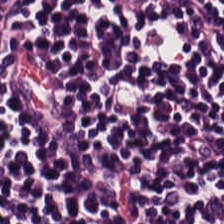The predominant tissue is lymphocyte aggregate.
